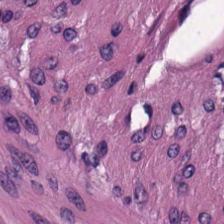Hematoxylin and eosin. The tissue type is smooth muscle.
